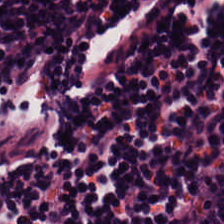Stain: H&E.
Resolution: 0.5 µm/px.
Classification: lymphocyte aggregate.
